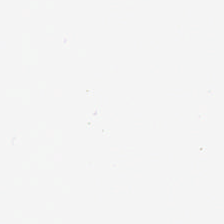Hematoxylin and eosin — Finding → empty background.
